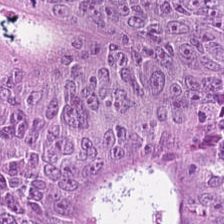224×224 px tile · H&E stain · brightfield microscopy. The predominant tissue is colorectal adenocarcinoma.
